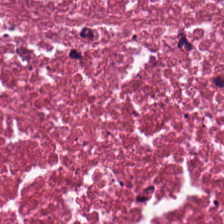Stain: H&E-stained tissue section.
Tile size: 224×224 pixel tile.
Tissue class: debris.
